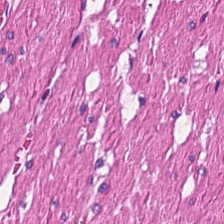Hematoxylin and eosin. Tissue — smooth muscle.
